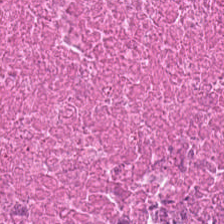Stain: H&E-stained tissue section.
Tissue: necrotic debris.
